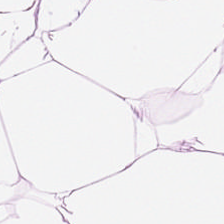H&E. Formalin-fixed paraffin-embedded section. Q: Identify the tissue.
A: It is adipose tissue.
